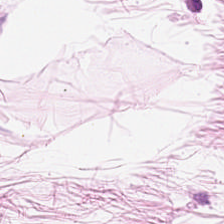Adipocytes.
